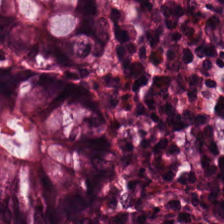Finding — normal colonic mucosa.
